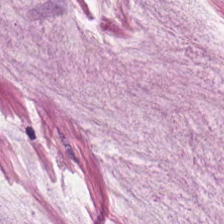The tissue here is mucus.
